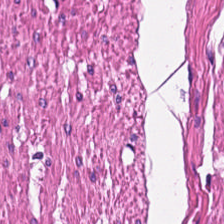Hematoxylin and eosin — Smooth-muscle tissue.
